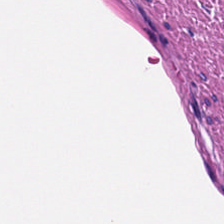Tissue type: muscularis.
